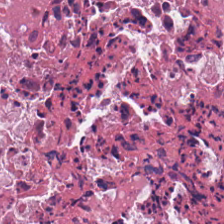H&E-stained section; the field shows necrotic debris.
